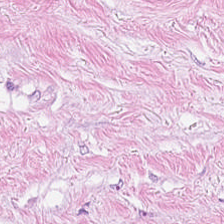The tissue is tumor stroma.
